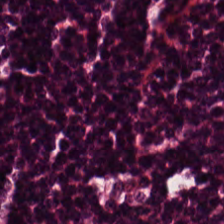Stain: hematoxylin-and-eosin stained section.
Predominant tissue: lymphocytic infiltrate.
